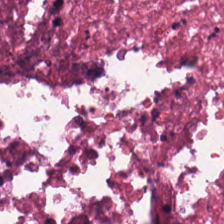Hematoxylin-and-eosin stained section. 0.5 µm/px — The tissue class is cellular debris.
